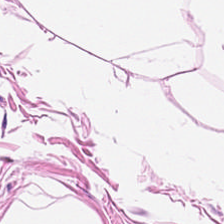H&E · FFPE tissue section — This field is adipose tissue.
